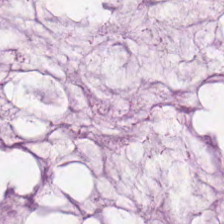H&E-stained tissue section. FFPE. Predominantly mucus.
